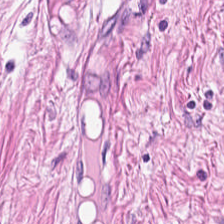Hematoxylin-and-eosin stained section. 224×224 px patch. Q: What type of tissue is this?
A: The field shows desmoplastic stroma.
